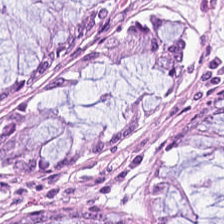H&E stain; brightfield. Non-neoplastic colon mucosa.
